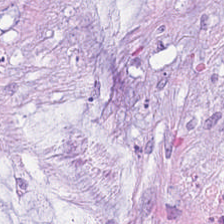Stain: hematoxylin and eosin.
Classification: mucin.
